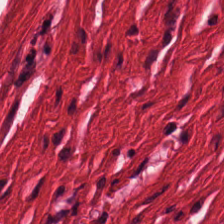H&E stain. The predominant tissue is smooth muscle.
